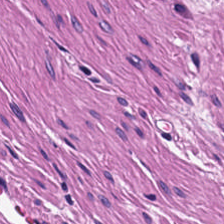Q: Identify the tissue.
A: It is smooth muscle.
